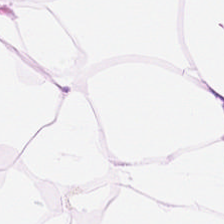H&E-stained tissue section — Finding → fat tissue.
